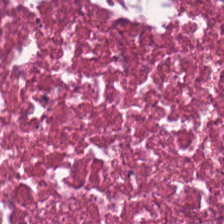224×224 px tile · formalin-fixed paraffin-embedded section · hematoxylin-and-eosin stained section. Predominant tissue — necrotic debris.
